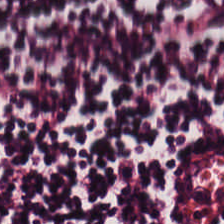Whole-slide-image patch; 0.5 µm/px; hematoxylin and eosin.
Showing lymphocytic infiltrate.
